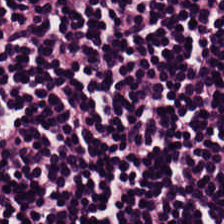H&E-stained tissue section — Q: Identify the tissue.
A: Lymphocytic infiltrate.
